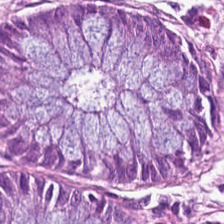H&E-stained tissue section; brightfield — Classification: benign colonic mucosa.
